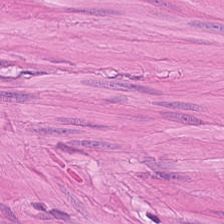Hematoxylin and eosin. FFPE. 224×224 px tile — The tissue here is muscularis.
